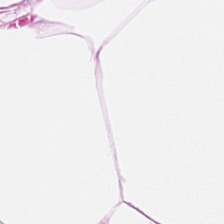{"tissue_type": "adipose"}
